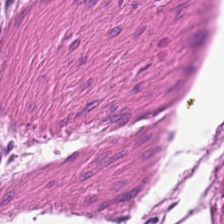H&E. The tissue class is muscularis.
